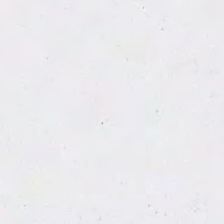0.5 microns per pixel · hematoxylin and eosin.
Empty field — background (no tissue).
